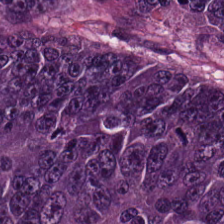H&E. FFPE tissue section — The tissue here is adenocarcinoma.
